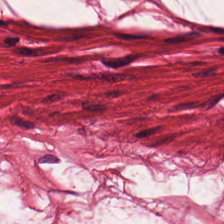Stain: hematoxylin and eosin.
Tissue class: muscularis.
